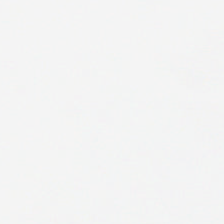Background — no tissue in this field.
